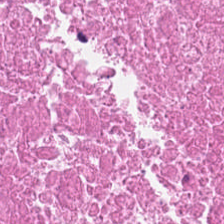Hematoxylin and eosin; 224×224 px tile. Q: What is the predominant tissue type?
A: The field shows debris.
